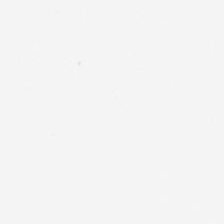FFPE tissue section; 20× equivalent magnification; H&E-stained tissue section. Empty field — empty background.
